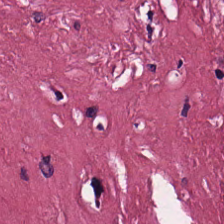H&E-stained tissue section. WSI patch — Tissue: tumor stroma.
